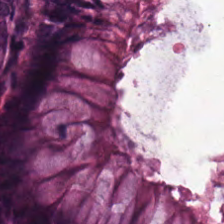224×224 px patch · hematoxylin and eosin · brightfield — Finding — normal colon mucosa.
